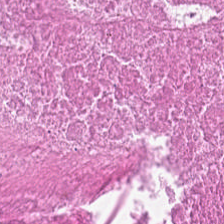Whole-slide-image patch; H&E stain.
Showing cellular debris.
